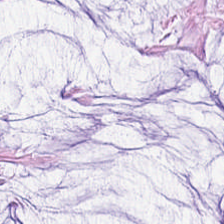0.5 µm/px; H&E; 224×224 px tile.
The tissue type is mucus.
